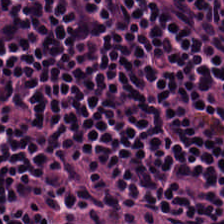H&E. {"tissue_type": "lymphocytes"}
